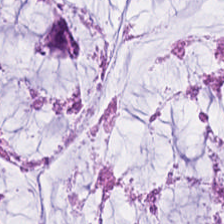Formalin-fixed paraffin-embedded section; H&E-stained tissue section. This field is extracellular mucin.
